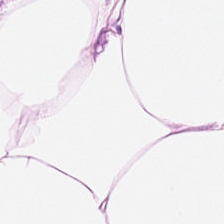224×224 px tile · hematoxylin-and-eosin stained section. The predominant tissue is adipose.
